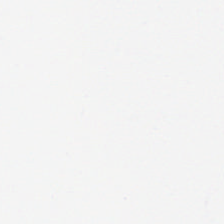H&E stain. Content = background (no tissue).
